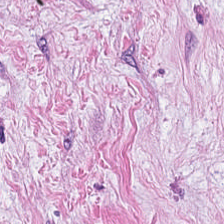H&E stain.
Histology → tumor-associated stroma.
